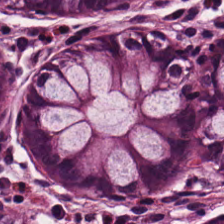{"tissue_type": "normal colon mucosa"}
